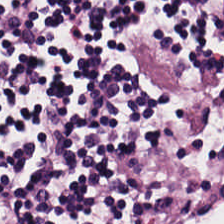Hematoxylin and eosin. The predominant tissue is lymphocytes.
